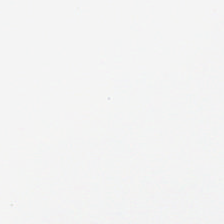Hematoxylin-and-eosin stained section; 0.5 µm per pixel. Field content = background (no tissue).
